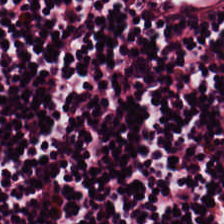H&E stain; FFPE tissue section.
Predominantly lymphocytic infiltrate.
